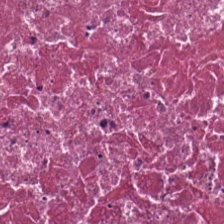H&E stain. Predominant tissue = debris.
